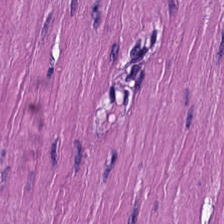Hematoxylin-and-eosin stained section.
Histology — muscularis.
